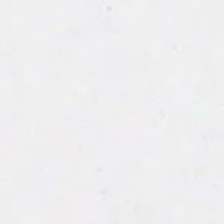Hematoxylin and eosin. Background — no tissue in this field.
